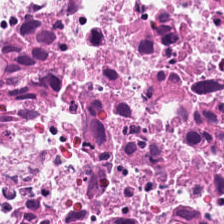H&E.
The tissue is cellular debris.
